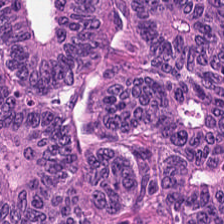Finding — malignant epithelium.
